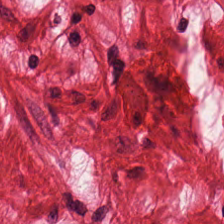Brightfield microscopy. H&E stain — The predominant tissue is muscularis.
